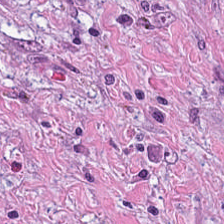FFPE. H&E.
{"tissue_type": "tumor-associated stroma"}
